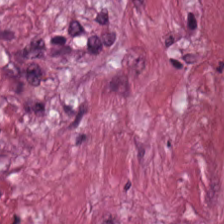Hematoxylin and eosin. 0.5 µm per pixel. 224×224 px patch. The classification is desmoplastic stroma.
